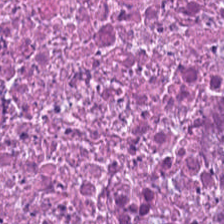Hematoxylin-and-eosin section: cellular debris.
